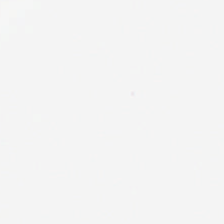H&E.
Classification — no tissue.
